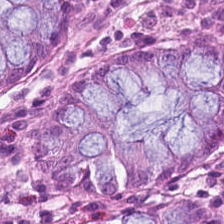H&E stain; 20× equivalent magnification — Predominant tissue = normal colonic mucosa.
